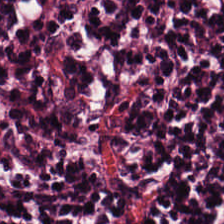H&E stain.
Tissue class = lymphocyte aggregate.
